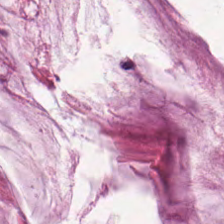Formalin-fixed paraffin-embedded section; H&E-stained tissue section — Showing mucin.
